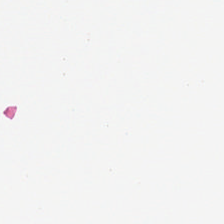20× equivalent magnification; H&E — Empty background.
